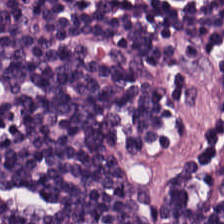Lymphocyte aggregate.
